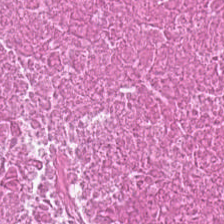H&E stain — The predominant tissue is debris.
